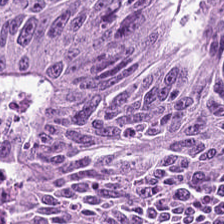H&E stain. Histology → tumor epithelium.
